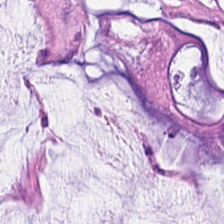Brightfield; H&E.
Q: What is the predominant tissue type?
A: The field shows mucin.
